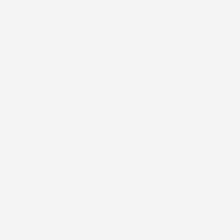Stain: H&E stain.
Classification: no tissue.
